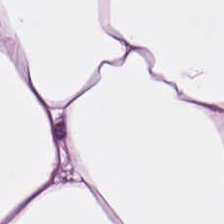Hematoxylin and eosin. Showing adipose.
